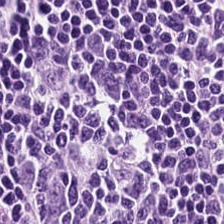Whole-slide-image patch; hematoxylin-and-eosin stained section; 224×224 px tile — The tissue class is lymphocytic infiltrate.
